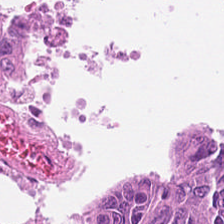FFPE; hematoxylin-and-eosin stained section. Q: What is the predominant tissue type?
A: It is colorectal adenocarcinoma epithelium.
